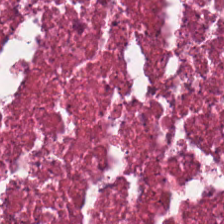Hematoxylin and eosin · WSI patch — This patch shows necrotic debris.
